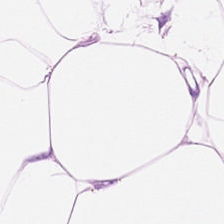FFPE tissue section · H&E stain. This patch shows adipose tissue.
